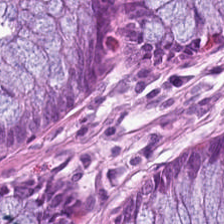Hematoxylin-and-eosin stained section. Tissue class = non-neoplastic colon mucosa.
